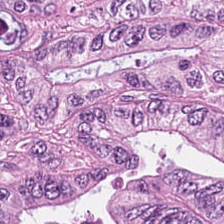224×224 px patch · H&E stain.
Q: Identify the tissue.
A: This is adenocarcinoma.
